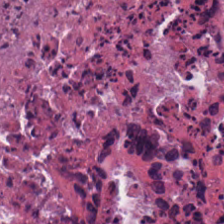FFPE tissue section; hematoxylin-and-eosin stained section.
The classification is cellular debris.
